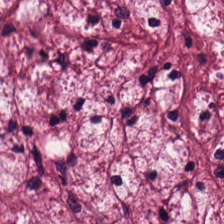Impression — tumor stroma.
